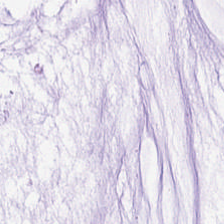Hematoxylin and eosin · FFPE tissue section — Q: What is shown in this field?
A: Extracellular mucin.
